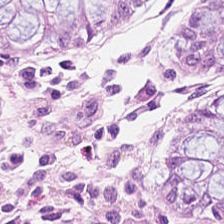Whole-slide-image patch · hematoxylin-and-eosin stained section. Predominantly benign colonic mucosa.
